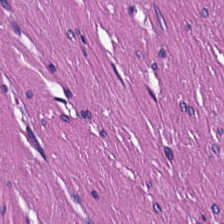Hematoxylin-and-eosin stained section — The tissue here is smooth muscle.
